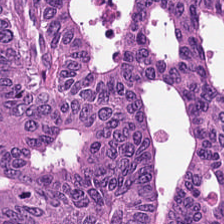Hematoxylin-and-eosin stained section. Predominantly adenocarcinoma.
